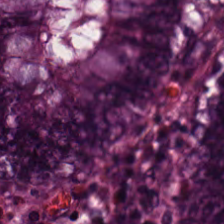H&E stain. The predominant tissue is normal colonic mucosa.
